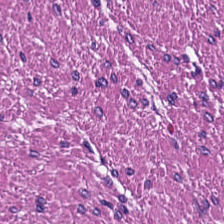Hematoxylin and eosin. Predominantly muscularis.
